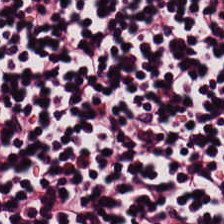Brightfield microscopy · H&E. Tissue class: lymphocyte aggregate.
